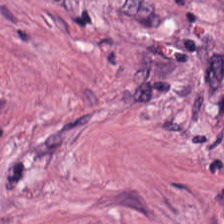Stain: H&E-stained tissue section.
Acquisition: WSI patch.
Tissue class: desmoplastic stroma.
